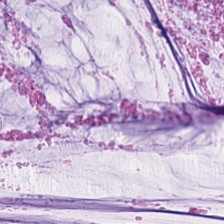224×224 px tile. H&E. 0.5 µm per pixel.
Predominantly extracellular mucin.
